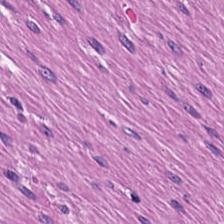Predominant tissue — muscularis.
